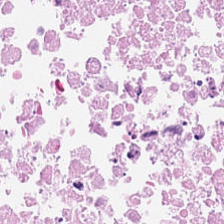0.5 µm/px; H&E; FFPE tissue section.
Showing cellular debris.
